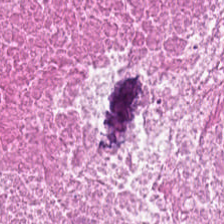FFPE; H&E-stained tissue section. Histology → cellular debris.
